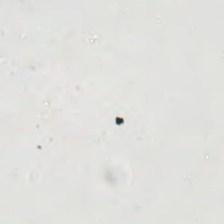Background — no tissue in this field.
